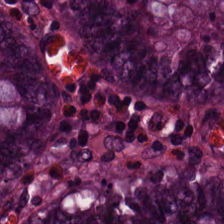Stain: H&E stain.
Tissue: non-neoplastic colon mucosa.
